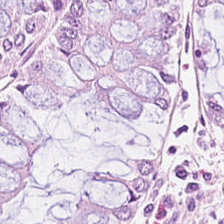Hematoxylin-and-eosin stained section. Impression → normal colonic mucosa.
